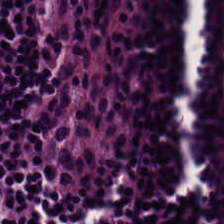H&E stain. 0.5 µm per pixel. Formalin-fixed paraffin-embedded section.
Classification = lymphoid infiltrate.
